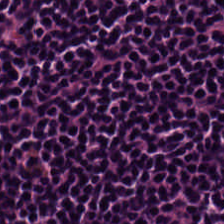Brightfield microscopy. FFPE tissue section. Hematoxylin and eosin.
This patch shows lymphoid infiltrate.
